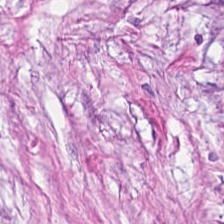Hematoxylin-and-eosin stained section. WSI patch. Formalin-fixed paraffin-embedded section — Predominantly desmoplastic stroma.
